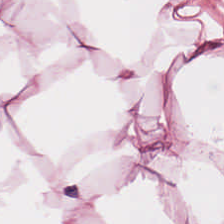Hematoxylin-and-eosin stained section. Q: What does this patch show?
A: The field shows adipose tissue.
